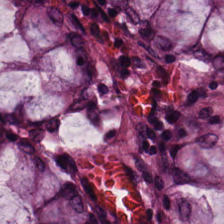Tissue: normal colonic mucosa.
